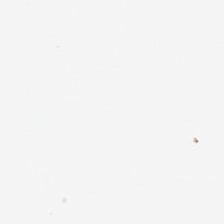H&E — Content: empty background.
